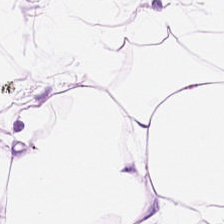0.5 microns per pixel; H&E. This field is adipocytes.
